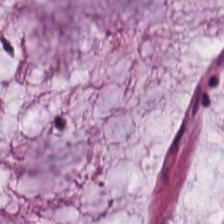The tissue type is extracellular mucin.
